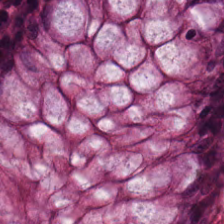Brightfield microscopy · H&E.
The tissue class is normal colon mucosa.
